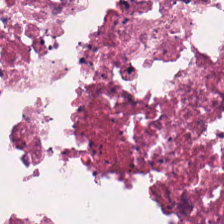H&E — Histology — debris.
